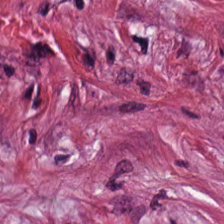H&E-stained tissue section.
This patch shows cancer-associated stroma.
